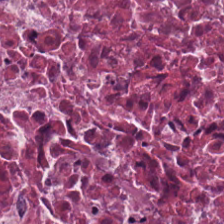Hematoxylin-and-eosin stained section.
The tissue here is debris.
